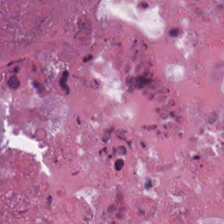H&E-stained section; the field shows debris.
